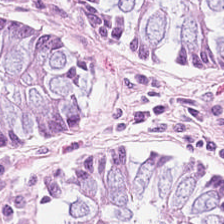0.5 µm per pixel; hematoxylin and eosin.
{"tissue_type": "non-neoplastic colon mucosa"}
